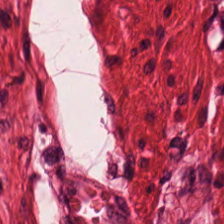Showing muscularis.
